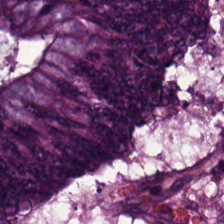Hematoxylin-and-eosin stained section. Brightfield microscopy — Showing malignant epithelium.
